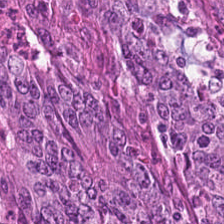H&E.
Impression — colorectal adenocarcinoma epithelium.
